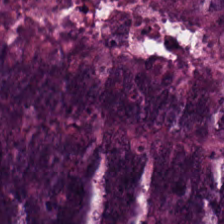Hematoxylin-and-eosin stained section · FFPE tissue section · 0.5 microns per pixel. Finding → tumor epithelium.
